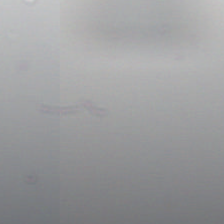Classification — background (no tissue).
